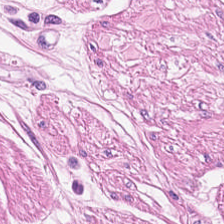Q: What does this patch show?
A: This is muscularis.
